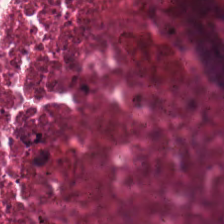Stain: H&E-stained tissue section.
Tissue: necrotic debris.
